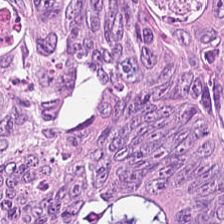Brightfield; H&E-stained tissue section; 0.5 µm per pixel. Histology → malignant epithelium.
